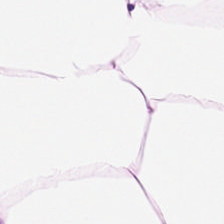224×224 pixel tile · hematoxylin-and-eosin stained section — Q: Classify this patch.
A: Fat tissue.
